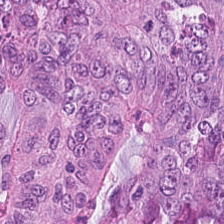Stain: hematoxylin-and-eosin stained section.
Preparation: formalin-fixed paraffin-embedded section.
Acquisition: brightfield.
Tissue type: colorectal adenocarcinoma.
